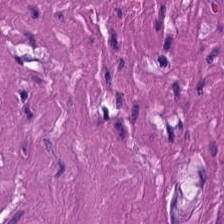Q: Classify this patch.
A: It is muscularis.
